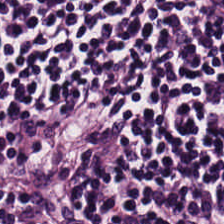H&E-stained section; the field shows lymphocytic infiltrate.
